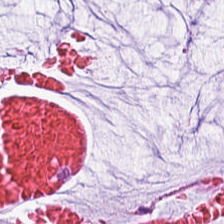Hematoxylin-and-eosin stained section — {"tissue_type": "extracellular mucin"}
